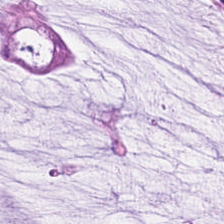Tissue type = extracellular mucin.
